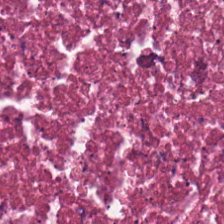Hematoxylin-and-eosin stained section. Formalin-fixed paraffin-embedded section. Cellular debris.
